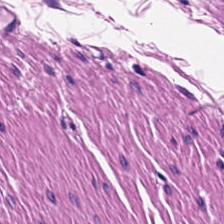H&E — muscularis.
